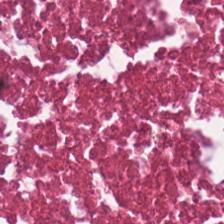H&E. Classification = necrotic debris.
